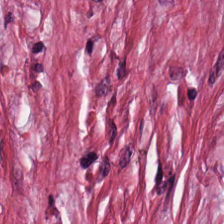Hematoxylin-and-eosin stained section; 0.5 microns per pixel. Q: What is shown in this field?
A: This is cancer-associated stroma.
